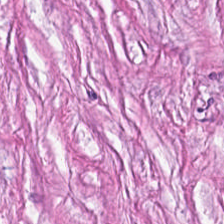Stain: hematoxylin and eosin.
Predominant tissue: tumor-associated stroma.
